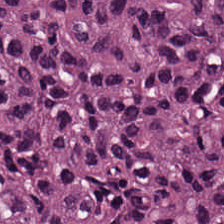Stain: hematoxylin and eosin.
Tissue type: colorectal adenocarcinoma epithelium.
